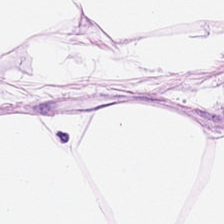{"tissue_type": "fat tissue"}
